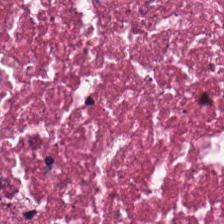Tissue type: cellular debris.
